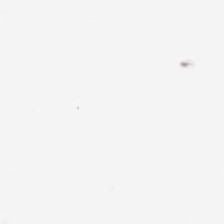20× equivalent magnification · hematoxylin and eosin.
Q: What is shown here?
A: This is background (no tissue).
